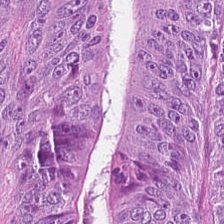Hematoxylin and eosin. Showing colorectal adenocarcinoma.
